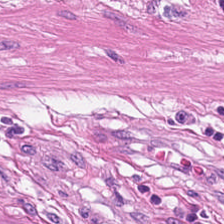H&E stain — Q: What tissue is shown?
A: Muscularis.
